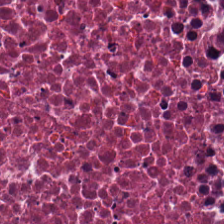Hematoxylin-and-eosin stained section.
Q: What is shown in this field?
A: The field shows debris.
